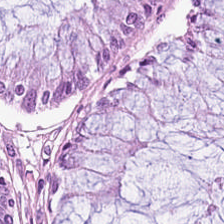Stain: H&E stain.
Preparation: FFPE.
Tissue type: non-neoplastic colon mucosa.
